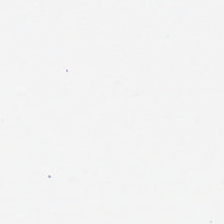H&E.
Field content: no tissue.
